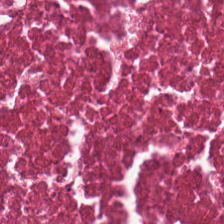H&E.
The tissue here is debris.
